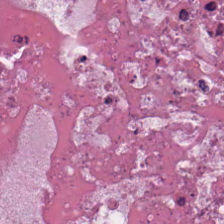H&E — Necrotic debris.
